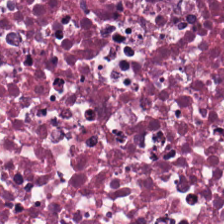The predominant tissue is cellular debris.
